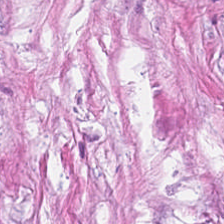The classification is tumor-associated stroma.
